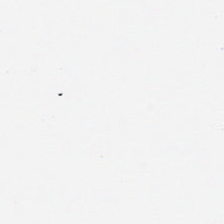H&E-stained tissue section.
Q: What is shown in this field?
A: The field shows empty background.
